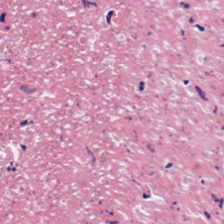Hematoxylin-and-eosin stained section. 0.5 µm/px.
Showing debris.
